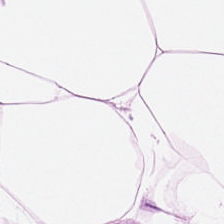H&E.
Q: What tissue type is shown here?
A: The field shows adipose tissue.
